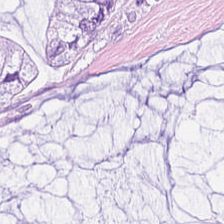0.5 µm/px · H&E-stained tissue section.
Predominantly extracellular mucin.
